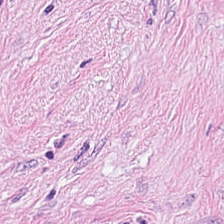Hematoxylin-and-eosin stained section. Histology — cancer-associated stroma.
